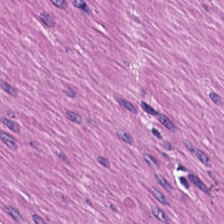Stain: H&E stain.
Resolution: 0.5 µm/px.
Tissue type: smooth-muscle tissue.
